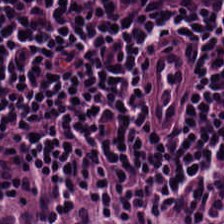Whole-slide-image patch. H&E-stained tissue section. FFPE tissue section.
Tissue class: lymphocyte aggregate.
